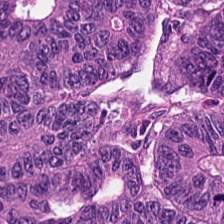Stain: H&E.
Resolution: 20× equivalent magnification.
Tissue: colorectal adenocarcinoma.
